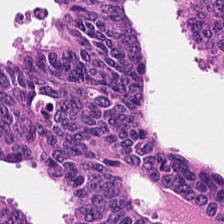H&E stain — Classification — colorectal adenocarcinoma epithelium.
